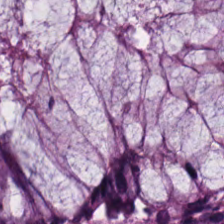Q: What tissue is shown?
A: The field shows normal colon mucosa.
